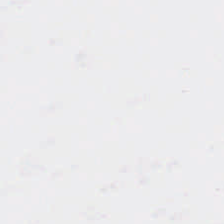Stain: hematoxylin and eosin.
Field content: empty background.
